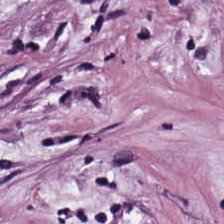H&E-stained tissue section.
This field is tumor stroma.
